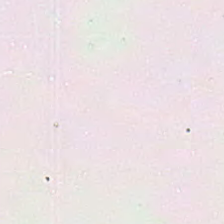Q: What does this patch show?
A: This is empty background.
